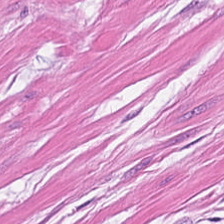{"tissue_type": "smooth muscle"}
